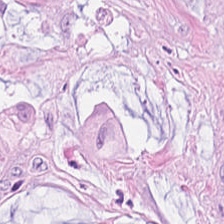H&E-stained tissue section — Impression → colorectal adenocarcinoma epithelium.
